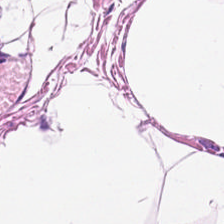224×224 px tile; H&E-stained tissue section; 0.5 µm/px — Impression → adipocytes.
